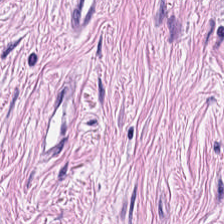Hematoxylin and eosin. Showing desmoplastic stroma.
